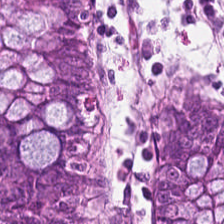Hematoxylin and eosin · WSI patch.
Q: What tissue type is shown here?
A: This is normal colonic mucosa.
